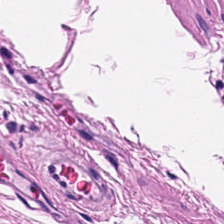Formalin-fixed paraffin-embedded section · H&E stain. The tissue here is muscularis.
